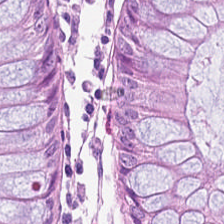20× equivalent magnification · hematoxylin and eosin · FFPE tissue section. {"tissue_type": "benign colonic mucosa"}
